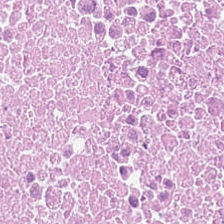H&E. The tissue is cellular debris.
